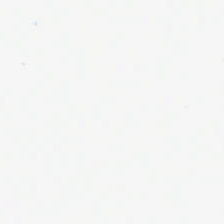No tissue present; background only.
